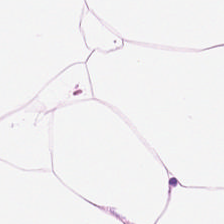Hematoxylin-and-eosin stained section — Predominant tissue — fat tissue.
